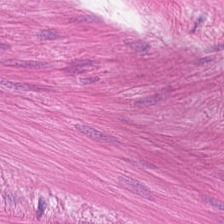H&E.
This field is smooth-muscle tissue.
